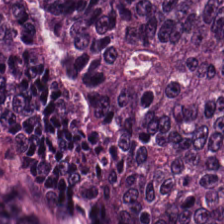0.5 µm per pixel · H&E-stained tissue section · whole-slide-image patch — Q: Identify the tissue.
A: The field shows tumor epithelium.
